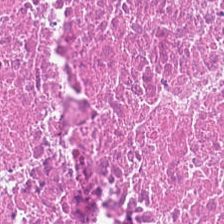Hematoxylin and eosin — This patch shows necrotic debris.
